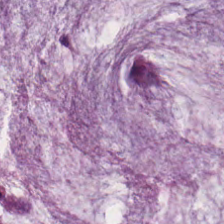H&E-stained tissue section.
Histology — extracellular mucin.
